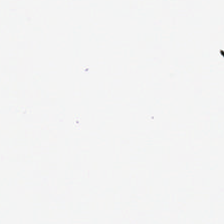Stain: H&E.
Content: no tissue.
